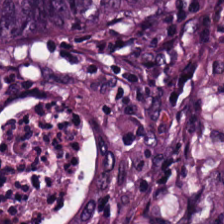20× equivalent magnification · hematoxylin and eosin.
The tissue here is colorectal adenocarcinoma epithelium.
